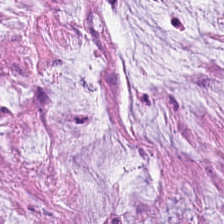Histology → mucin.
